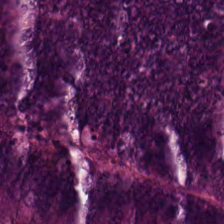H&E stain. The tissue type is colorectal adenocarcinoma.
